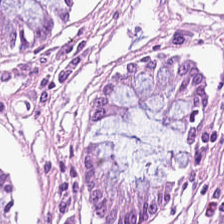Formalin-fixed paraffin-embedded section; H&E stain — This patch shows normal colonic mucosa.
